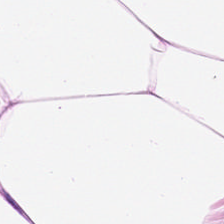H&E stain · formalin-fixed paraffin-embedded section · 224×224 px tile. Showing fat tissue.
